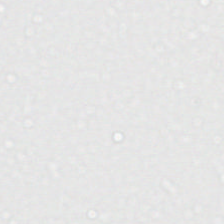Classification = empty background.
